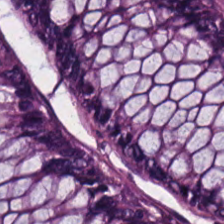H&E-stained tissue section · 0.5 µm/px · 224×224 pixel tile. Impression — normal colonic mucosa.
